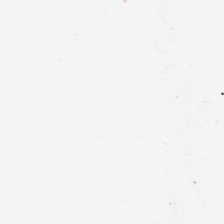Hematoxylin and eosin — This field is background (no tissue).
